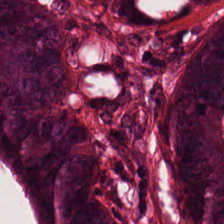224×224 px tile. Hematoxylin-and-eosin stained section — Tissue type: tumor epithelium.
